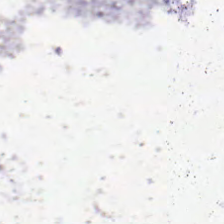0.5 microns per pixel; H&E-stained tissue section.
Q: What is shown in this field?
A: This is background (no tissue).
